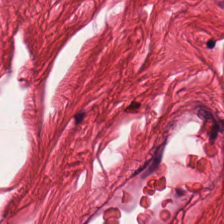H&E-stained section; the field shows smooth-muscle tissue.
